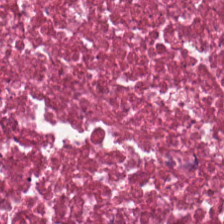Hematoxylin and eosin.
{"tissue_type": "debris"}
